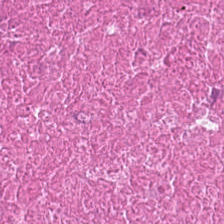0.5 microns per pixel. Hematoxylin-and-eosin stained section — This field is debris.
